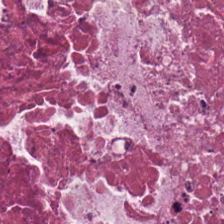Stain: hematoxylin-and-eosin stained section.
Resolution: 20× equivalent magnification.
Tile size: 224×224 px tile.
Classification: debris.
